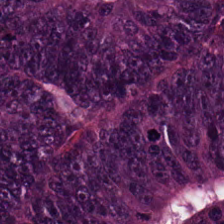H&E stain · 20× equivalent magnification · FFPE — Histology — colorectal adenocarcinoma epithelium.
